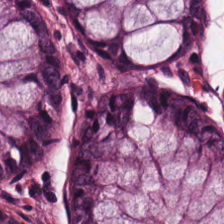Classification: normal colon mucosa.
